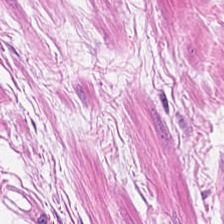H&E stain; 0.5 µm per pixel.
Showing muscularis.
